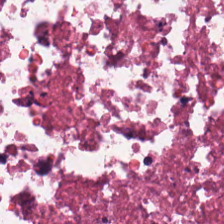Predominantly debris.
